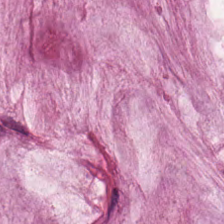Hematoxylin-and-eosin stained section.
Q: Classify this patch.
A: Mucus.
